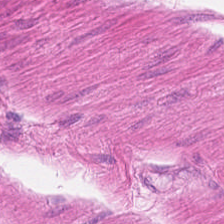20× equivalent magnification; brightfield; hematoxylin and eosin — The tissue here is muscularis.
